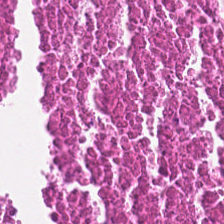224×224 px patch · H&E-stained tissue section · FFPE. Q: What tissue is shown?
A: This is cellular debris.
